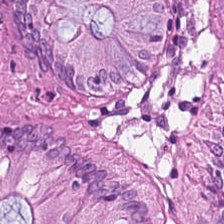Stain: H&E.
Tissue: non-neoplastic colon mucosa.
